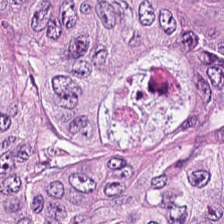Classification = tumor epithelium.
